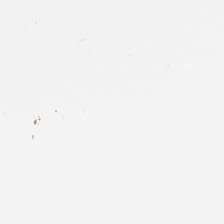H&E — Background — no tissue in this field.
